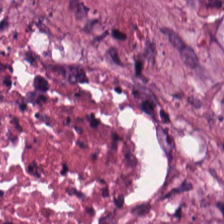H&E stain — This patch shows cellular debris.
